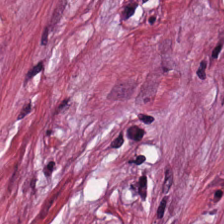Stain: hematoxylin and eosin.
Predominant tissue: tumor stroma.
